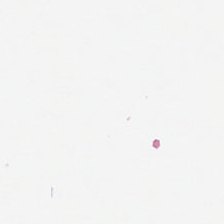Empty field — empty background.
